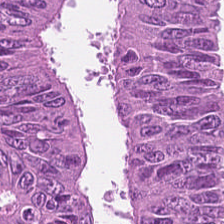Hematoxylin-and-eosin stained section. Q: What is shown here?
A: This is adenocarcinoma.
